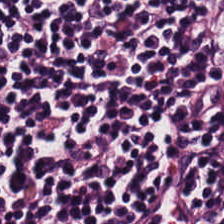H&E-stained tissue section. 224×224 px tile.
The tissue is lymphoid infiltrate.
